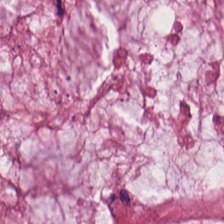H&E. {"tissue_type": "mucin"}
